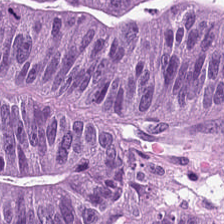Hematoxylin-and-eosin section: colorectal adenocarcinoma epithelium.
